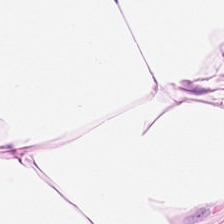Classification = adipose tissue.
